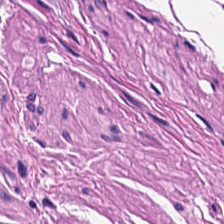Tissue — muscularis.
